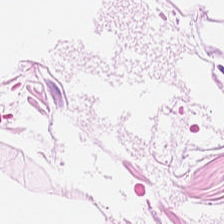H&E; 0.5 microns per pixel — Predominantly adipose tissue.
